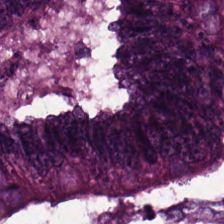Hematoxylin-and-eosin stained section. This patch shows adenocarcinoma.
